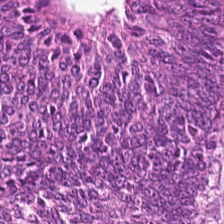Tissue class — colorectal adenocarcinoma epithelium.
